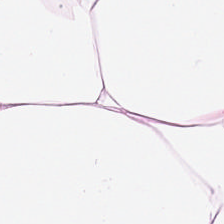Finding → adipose tissue.
